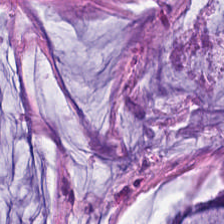Tissue — extracellular mucin.
